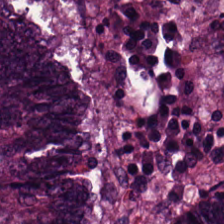Tissue: tumor epithelium.
